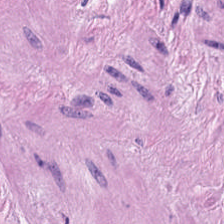Hematoxylin and eosin. FFPE tissue section. 0.5 microns per pixel. This field is smooth muscle.
